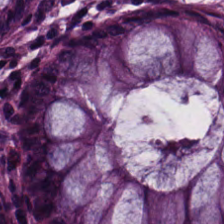FFPE tissue section; hematoxylin and eosin. Impression → benign colonic mucosa.
